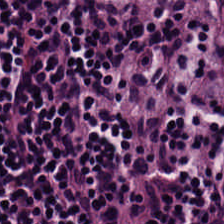Hematoxylin and eosin. Finding — lymphoid infiltrate.
